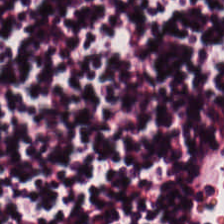H&E stain — Histology → lymphocyte aggregate.
